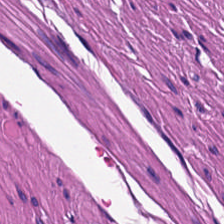Q: What does this patch show?
A: It is smooth-muscle tissue.
